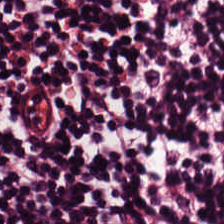Hematoxylin and eosin.
Tissue — lymphocytic infiltrate.
